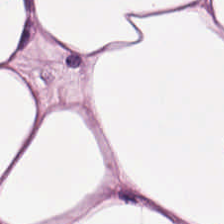H&E. Predominant tissue — adipose.
